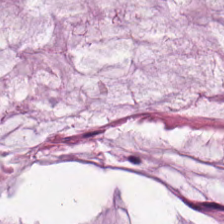Brightfield; H&E stain; 224×224 px tile.
The tissue here is mucus.
